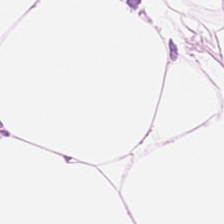Hematoxylin-and-eosin stained section · 224×224 pixel tile. The tissue is adipocytes.
